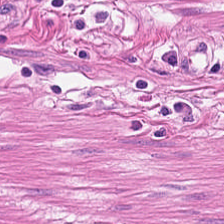224×224 pixel tile. H&E-stained tissue section. {"tissue_type": "smooth muscle"}
